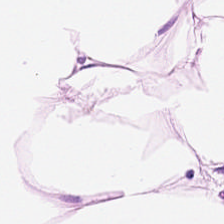Hematoxylin-and-eosin stained section — Adipocytes.
